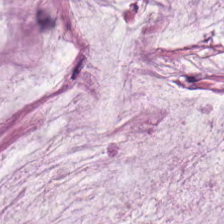Hematoxylin and eosin.
Q: What does this patch show?
A: The field shows mucin.
